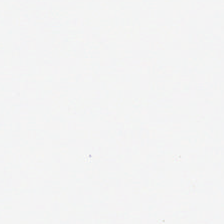FFPE; hematoxylin and eosin. Histology → no tissue.
